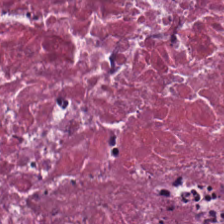Hematoxylin-and-eosin stained section · WSI patch · 0.5 µm/px. This field is debris.
